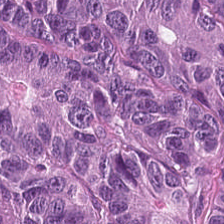H&E-stained tissue section · 224×224 pixel tile — Q: Identify the tissue.
A: This is colorectal adenocarcinoma epithelium.
